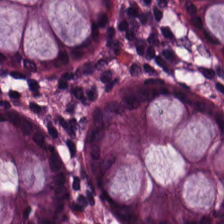H&E-stained section; the field shows normal colon mucosa.
